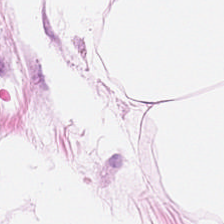H&E stain. 224×224 px patch. Brightfield. Q: Classify this patch.
A: This is adipose tissue.
